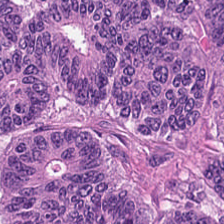H&E-stained tissue section · FFPE · 0.5 µm per pixel. Colorectal adenocarcinoma epithelium.
